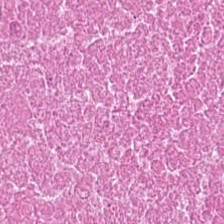Q: What is shown in this field?
A: The field shows necrotic debris.
